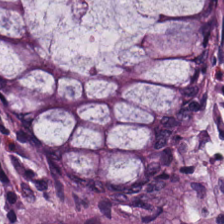224×224 pixel tile · H&E-stained tissue section · FFPE tissue section.
The tissue type is normal colonic mucosa.
